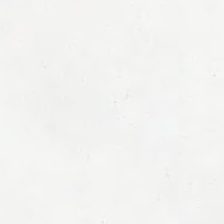Stain: H&E stain.
Field content: background (no tissue).
